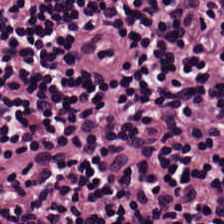0.5 microns per pixel; H&E stain. Predominant tissue = lymphocytes.
